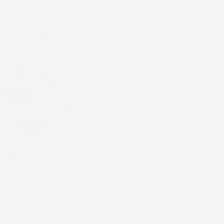Empty field — no tissue.
